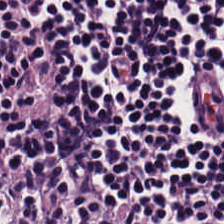Q: What tissue is shown?
A: Lymphocytic infiltrate.
